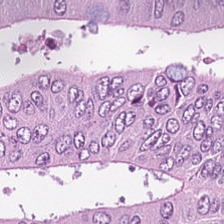Tumor epithelium.
